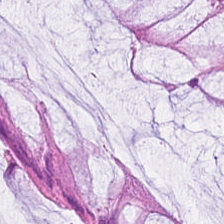This patch shows normal colonic mucosa.
